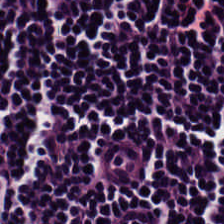224×224 px patch. Brightfield microscopy. H&E stain. Showing lymphoid infiltrate.
